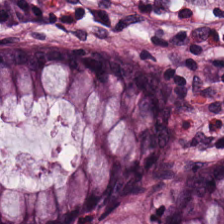Hematoxylin-and-eosin stained section — Histology — non-neoplastic colon mucosa.
